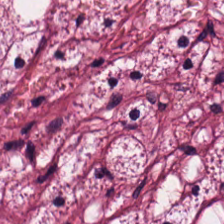0.5 microns per pixel. H&E-stained tissue section — The tissue here is tumor stroma.
